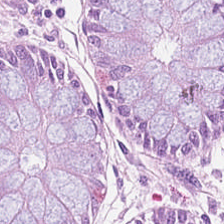H&E-stained tissue section — This field is non-neoplastic colon mucosa.
